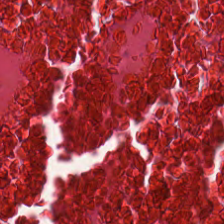Tissue class = necrotic debris.
